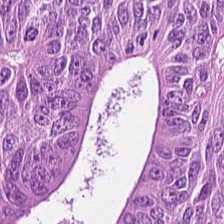Hematoxylin and eosin.
This patch shows colorectal adenocarcinoma.
